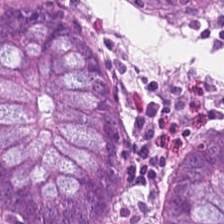Whole-slide-image patch. Hematoxylin and eosin. Normal colonic mucosa.
